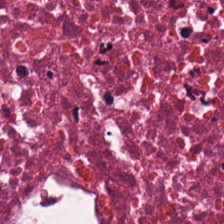20× equivalent magnification; H&E stain — The tissue type is debris.
